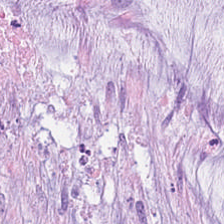Tissue class: extracellular mucin.
